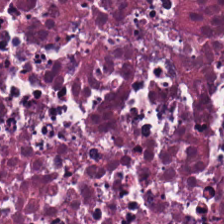H&E-stained tissue section. Brightfield.
The tissue type is debris.
